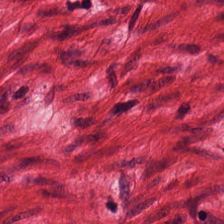Hematoxylin-and-eosin stained section · 224×224 pixel tile. Classification: smooth muscle.
